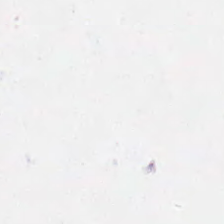0.5 microns per pixel · H&E stain.
Histology — no tissue.
